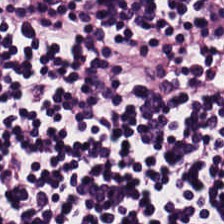The predominant tissue is lymphoid infiltrate.
